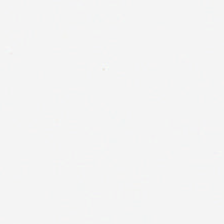H&E stain — The content is background (no tissue).
